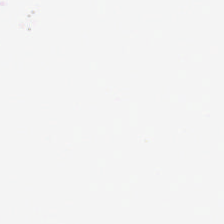H&E stain — This field is background (no tissue).
